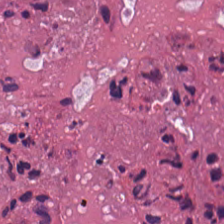FFPE tissue section; H&E stain; 0.5 µm per pixel.
{"tissue_type": "cellular debris"}
